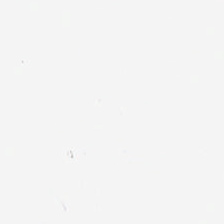Formalin-fixed paraffin-embedded section · hematoxylin-and-eosin stained section — Histology — background.
